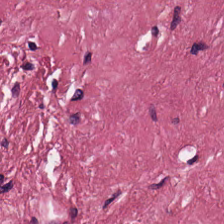224×224 pixel tile. H&E-stained tissue section. Brightfield. Classification: tumor stroma.
